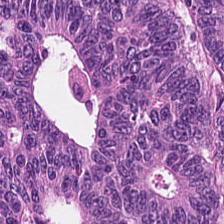20× equivalent magnification · H&E-stained tissue section. {"tissue_type": "colorectal adenocarcinoma"}
